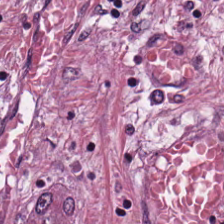224×224 pixel tile; H&E — Q: Classify this patch.
A: The field shows desmoplastic stroma.
